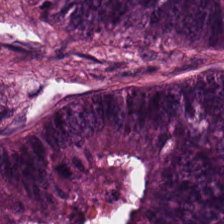H&E stain. Q: Classify this patch.
A: This is adenocarcinoma.
